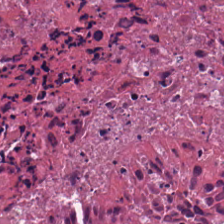Q: What is shown in this field?
A: This is necrotic debris.
